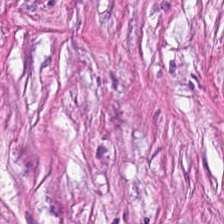Stain: H&E stain.
Classification: cancer-associated stroma.
